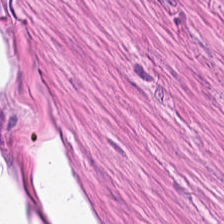This field is muscularis.
